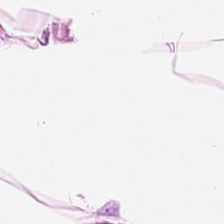0.5 µm/px · 224×224 px patch · H&E.
Showing fat tissue.
